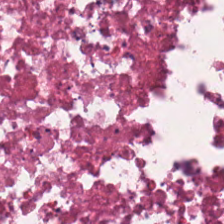Predominantly necrotic debris.
